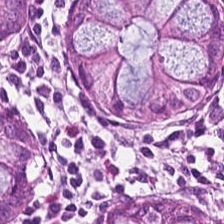Stain: hematoxylin and eosin.
Tissue: normal colonic mucosa.
